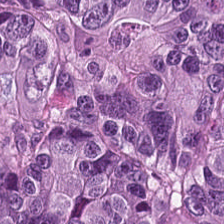H&E. 224×224 pixel tile — This field is tumor epithelium.
